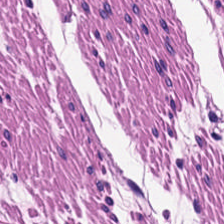FFPE tissue section; 224×224 px patch; hematoxylin-and-eosin stained section. This patch shows smooth-muscle tissue.
